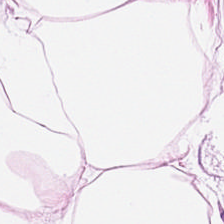H&E stain. Tissue class — fat tissue.
